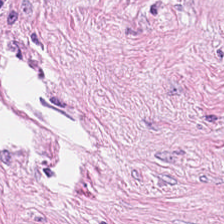224×224 px tile · H&E.
This field is cancer-associated stroma.
